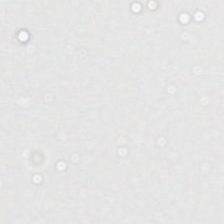The field content is empty background.
